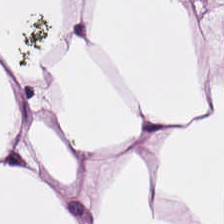H&E patch showing adipocytes.
